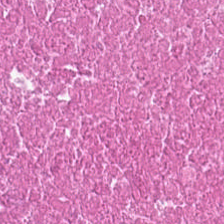Stain: H&E.
Predominant tissue: necrotic debris.
